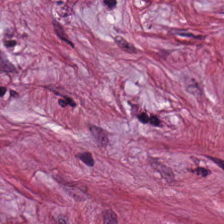Hematoxylin and eosin. The predominant tissue is tumor stroma.
